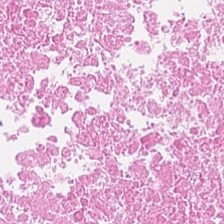Hematoxylin-and-eosin stained section.
Predominant tissue: cellular debris.
